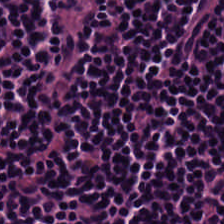The tissue class is lymphocytes.
